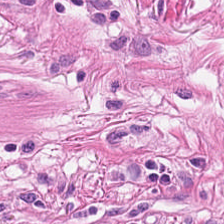224×224 px patch; H&E-stained tissue section — Histology — smooth-muscle tissue.
